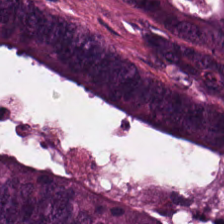Q: Identify the tissue.
A: This is colorectal adenocarcinoma.
